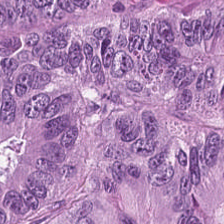Brightfield microscopy. 20× equivalent magnification. Hematoxylin and eosin — Tissue class = tumor epithelium.
